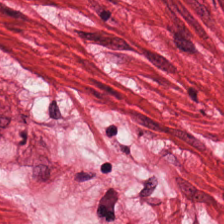Finding — smooth-muscle tissue.
